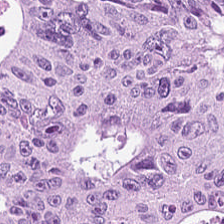H&E — adenocarcinoma.
